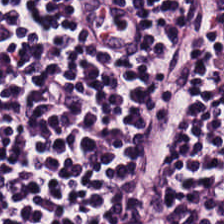Stain: H&E-stained tissue section.
Tissue type: lymphocytic infiltrate.
